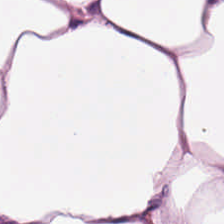Whole-slide-image patch. H&E stain. Q: What is shown here?
A: It is adipose.
